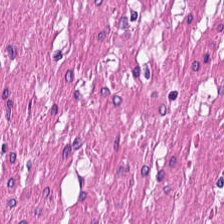Stain: H&E stain.
Tissue class: muscularis.
